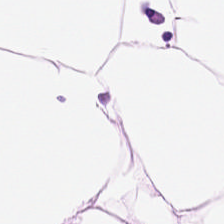H&E-stained tissue section · 0.5 µm per pixel. Showing fat tissue.
